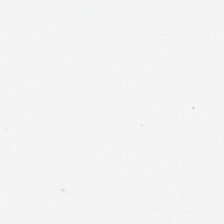H&E.
Content: background (no tissue).
